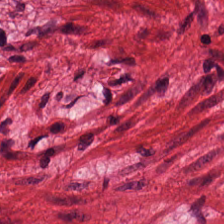Hematoxylin and eosin.
The predominant tissue is muscularis.
